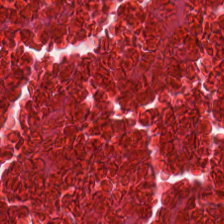Q: What tissue is shown?
A: The field shows debris.
